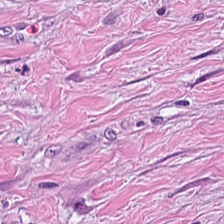Brightfield; formalin-fixed paraffin-embedded section; H&E. {"tissue_type": "tumor-associated stroma"}
